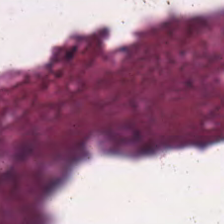Hematoxylin and eosin. Q: Classify this patch.
A: The field shows necrotic debris.
